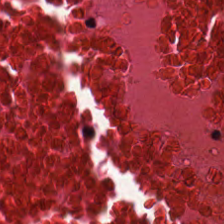H&E — cellular debris.
